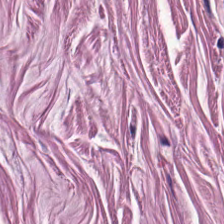H&E stain.
Tissue type — muscularis.
